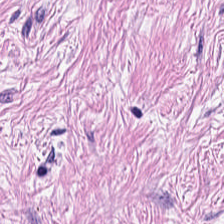0.5 microns per pixel · hematoxylin-and-eosin stained section · formalin-fixed paraffin-embedded section.
Histology → tumor stroma.
